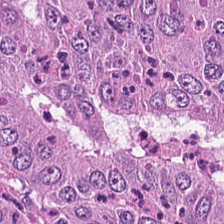Hematoxylin and eosin — Tissue type: tumor epithelium.
